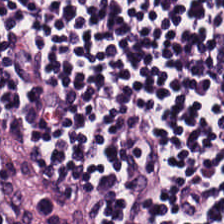H&E.
Tissue class: lymphocytes.
